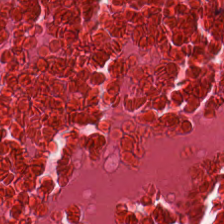Brightfield microscopy · H&E-stained tissue section.
Classification: debris.
